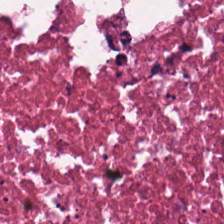H&E. FFPE tissue section.
This field is cellular debris.
